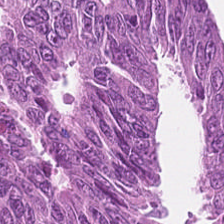H&E stain — Tissue = adenocarcinoma.
